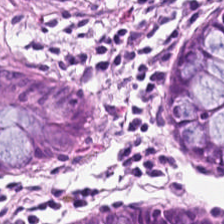Stain: hematoxylin-and-eosin stained section.
Tissue: normal colonic mucosa.
